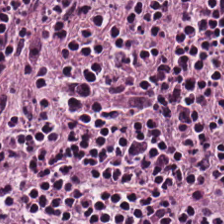224×224 px tile · hematoxylin-and-eosin stained section. Predominant tissue: lymphocytic infiltrate.
